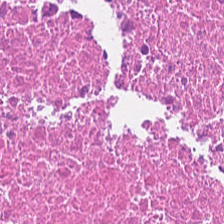Stain: H&E stain.
Predominant tissue: necrotic debris.
